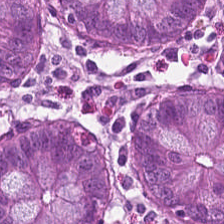H&E-stained tissue section — Q: What does this patch show?
A: It is non-neoplastic colon mucosa.
